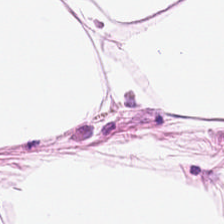224×224 px tile; hematoxylin-and-eosin stained section.
Predominant tissue: adipose.
